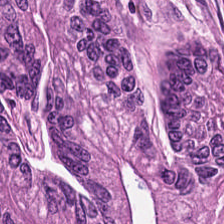FFPE; H&E stain; 224×224 px patch. The classification is malignant epithelium.
